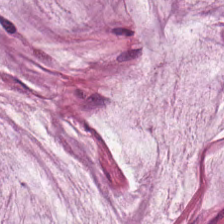H&E stain — Tissue class — extracellular mucin.
